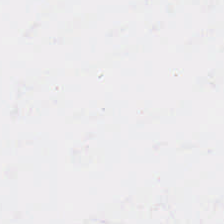Hematoxylin-and-eosin stained section. Impression → background.
